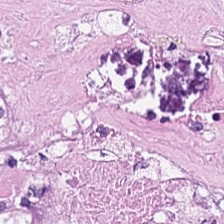Hematoxylin-and-eosin stained section. Tissue = cellular debris.
